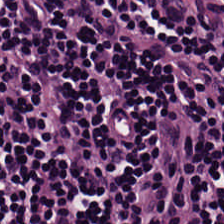H&E-stained tissue section. Tissue class: lymphocytes.
